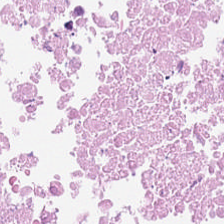224×224 pixel tile · WSI patch · H&E.
The predominant tissue is cellular debris.
